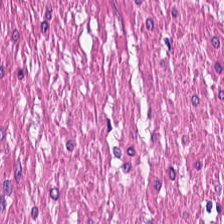H&E-stained section; the field shows smooth muscle.
